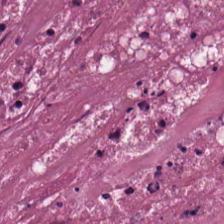H&E stain.
The predominant tissue is necrotic debris.
